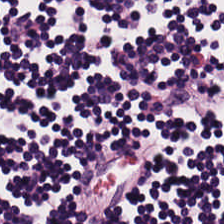H&E stain.
Tissue class: lymphoid infiltrate.
